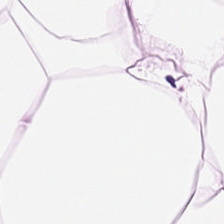FFPE tissue section · H&E-stained tissue section.
The predominant tissue is adipocytes.
